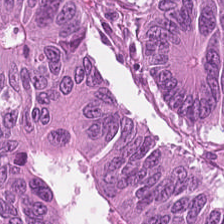FFPE tissue section · hematoxylin-and-eosin stained section · 20× equivalent magnification — Histology — tumor epithelium.
